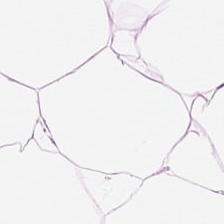H&E. Classification: adipose tissue.
